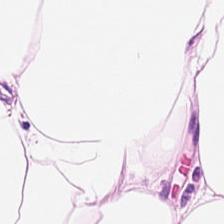H&E — This field is adipose.
